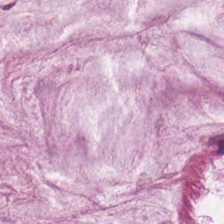FFPE · 0.5 microns per pixel · hematoxylin and eosin. Tissue type = mucin.
